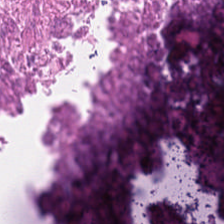H&E.
Showing cellular debris.
